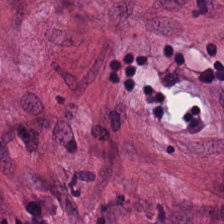20× equivalent magnification. Hematoxylin and eosin. Tumor-associated stroma.
